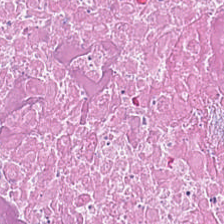Hematoxylin and eosin · formalin-fixed paraffin-embedded section. Tissue class: necrotic debris.
